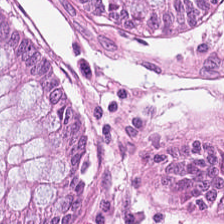Tissue: non-neoplastic colon mucosa.
